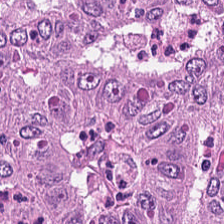Hematoxylin-and-eosin stained section. Impression → adenocarcinoma.
